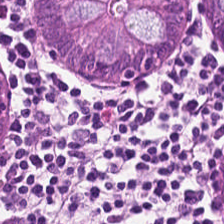Non-neoplastic colon mucosa.
